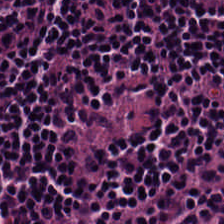Brightfield · H&E stain.
Tissue = lymphocyte aggregate.
